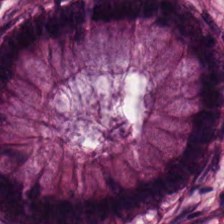Predominantly normal colon mucosa.
